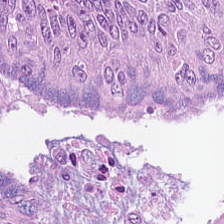Formalin-fixed paraffin-embedded section · H&E · 0.5 µm/px.
This field is tumor epithelium.
